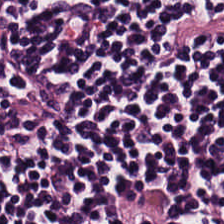H&E stain.
Tissue — lymphocytes.
